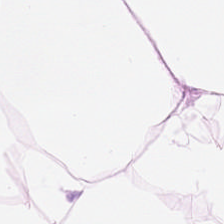Classification — adipocytes.
